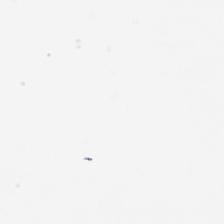Hematoxylin-and-eosin stained section — The field content is background.
